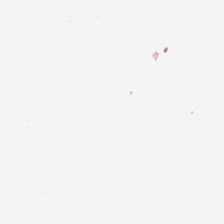Brightfield microscopy. Formalin-fixed paraffin-embedded section. H&E. Q: What is shown in this field?
A: This is background (no tissue).
